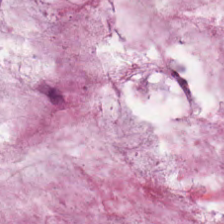0.5 µm/px; H&E stain. Q: What tissue type is shown here?
A: Extracellular mucin.
